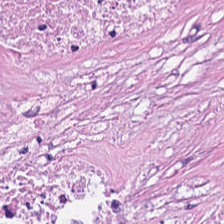224×224 px patch · H&E. Q: What is the predominant tissue type?
A: It is cellular debris.
